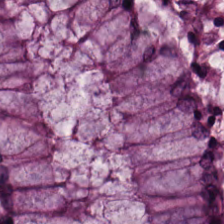224×224 pixel tile · H&E stain · brightfield.
The tissue here is normal colon mucosa.
